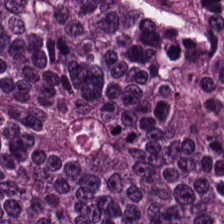Stain: hematoxylin-and-eosin stained section.
Tissue type: colorectal adenocarcinoma epithelium.
